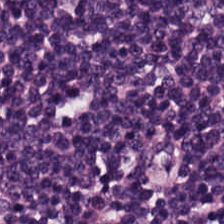Predominant tissue = lymphocyte aggregate.
